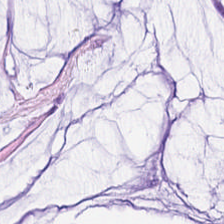0.5 µm per pixel · H&E.
Mucin.
